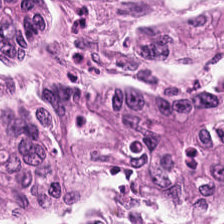FFPE. Hematoxylin and eosin — Predominant tissue — colorectal adenocarcinoma.
